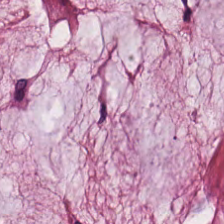H&E-stained tissue section; formalin-fixed paraffin-embedded section; 224×224 pixel tile. Tissue type = mucus.
